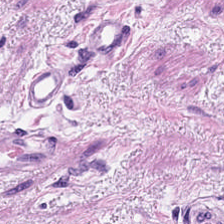Formalin-fixed paraffin-embedded section. Hematoxylin and eosin — Tissue: muscularis.
